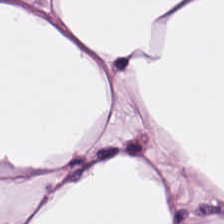Hematoxylin and eosin. 0.5 µm per pixel. Classification — adipose.
